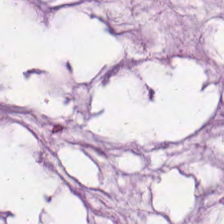Stain: H&E.
Tissue type: mucus.
